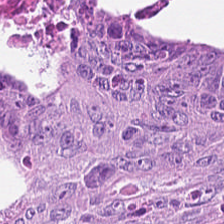The tissue here is tumor epithelium.
